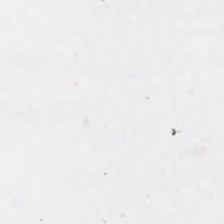Hematoxylin and eosin — Finding → background (no tissue).
